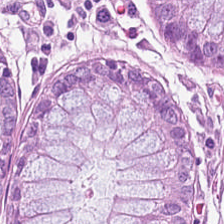H&E-stained tissue section; 0.5 µm per pixel.
Showing normal colonic mucosa.
